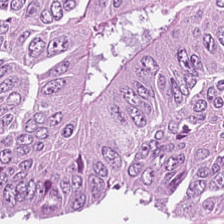Hematoxylin and eosin. Finding — adenocarcinoma.
